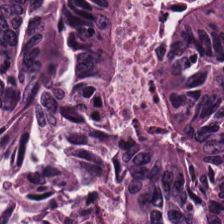Hematoxylin-and-eosin section: malignant epithelium.
